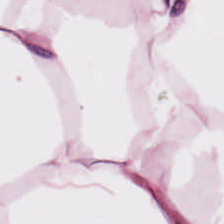Hematoxylin-and-eosin stained section · 0.5 microns per pixel.
This patch shows adipose tissue.
